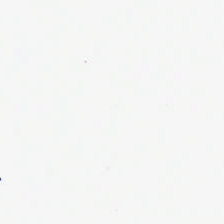H&E stain — Content — background.
